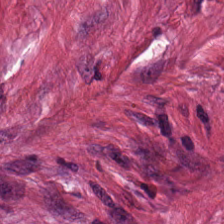20× equivalent magnification · H&E stain. Tissue type: desmoplastic stroma.
